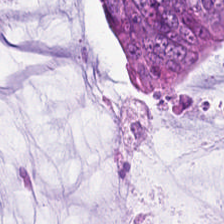Showing colorectal adenocarcinoma.
